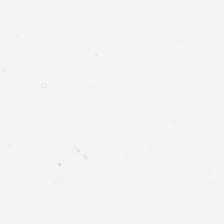20× equivalent magnification · H&E-stained tissue section — Content: background (no tissue).
